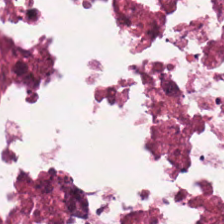0.5 microns per pixel · H&E stain · brightfield microscopy. Predominant tissue — necrotic debris.
